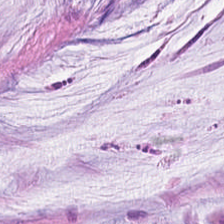Stain: H&E stain.
Acquisition: brightfield.
Tissue class: extracellular mucin.
